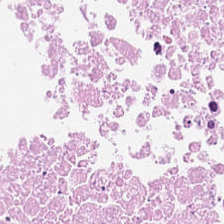Whole-slide-image patch; H&E.
The tissue here is cellular debris.
